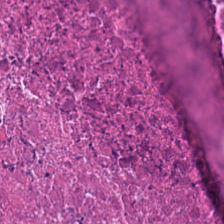Brightfield; H&E — The predominant tissue is cellular debris.
